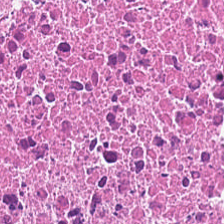0.5 µm/px; 224×224 px tile; H&E stain. This field is necrotic debris.
